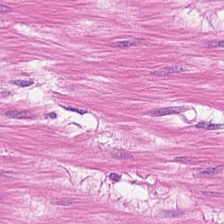Hematoxylin and eosin — Q: What tissue is shown?
A: The field shows smooth muscle.
